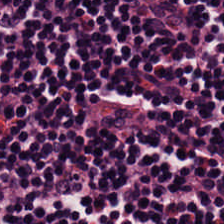H&E-stained tissue section; 0.5 µm per pixel — The tissue here is lymphocyte aggregate.
